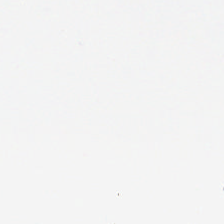H&E-stained tissue section — Impression — background.
